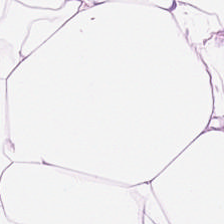This patch shows adipose tissue.
